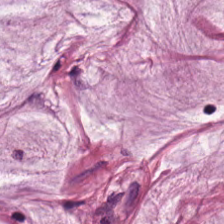H&E patch showing extracellular mucin.
